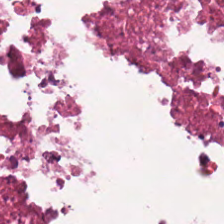H&E. 0.5 microns per pixel. Q: What type of tissue is this?
A: It is debris.
